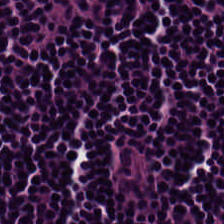Hematoxylin-and-eosin stained section.
This field is lymphoid infiltrate.
